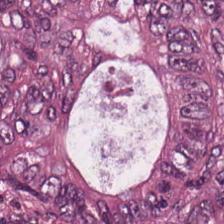H&E; 224×224 px patch.
Tissue type — colorectal adenocarcinoma epithelium.
